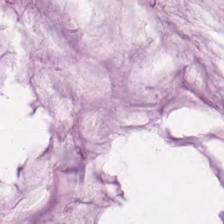The tissue here is mucin.
